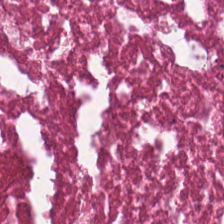H&E — necrotic debris.
